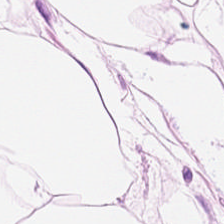H&E-stained tissue section.
The tissue here is adipocytes.
